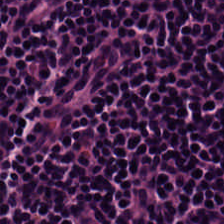Q: What is shown in this field?
A: The field shows lymphoid infiltrate.
